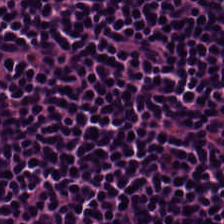H&E patch showing lymphocytes.
